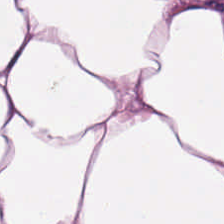224×224 px patch; H&E-stained tissue section — This field is adipose tissue.
